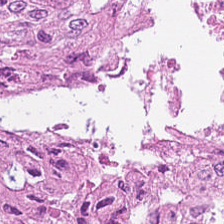Q: What is the predominant tissue type?
A: It is adenocarcinoma.
